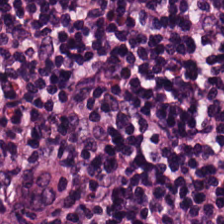H&E-stained tissue section — Showing lymphocytes.
